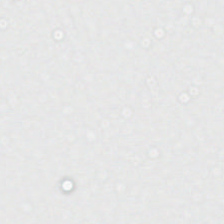H&E-stained tissue section · brightfield.
Content — no tissue.
